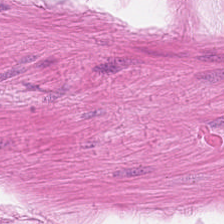Hematoxylin-and-eosin stained section.
The predominant tissue is smooth muscle.
